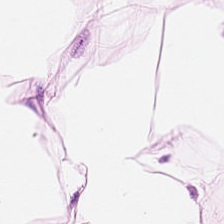Q: Classify this patch.
A: The field shows adipose.
